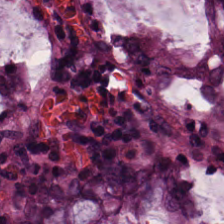H&E stain · formalin-fixed paraffin-embedded section · brightfield microscopy.
This field is normal colon mucosa.
